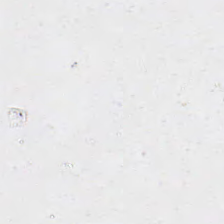Stain: hematoxylin-and-eosin stained section.
Field content: background (no tissue).
